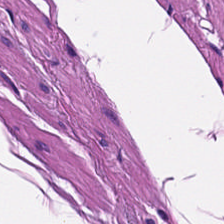Hematoxylin-and-eosin stained section.
Finding — smooth-muscle tissue.
